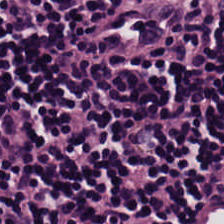H&E. The predominant tissue is lymphocytes.
